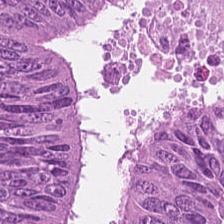WSI patch. Hematoxylin and eosin — Q: Identify the tissue.
A: Colorectal adenocarcinoma epithelium.
